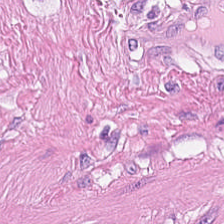Stain: hematoxylin and eosin.
Classification: smooth muscle.
